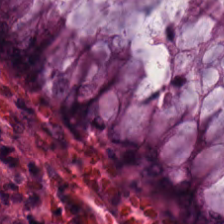Brightfield. 224×224 px patch. H&E.
The tissue is non-neoplastic colon mucosa.
